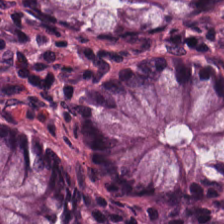Stain: hematoxylin and eosin.
Classification: non-neoplastic colon mucosa.
